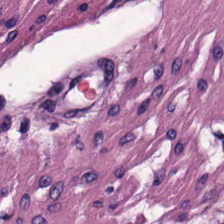Predominant tissue — smooth muscle.
